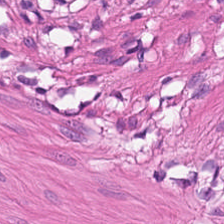H&E-stained tissue section — Predominantly smooth-muscle tissue.
